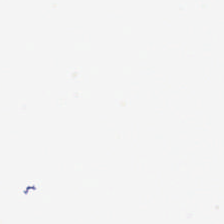224×224 px patch · hematoxylin and eosin — Classification: background.
